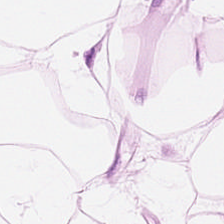H&E. Q: What tissue is shown?
A: It is fat tissue.
